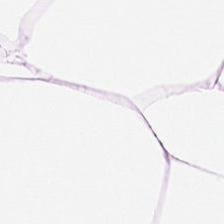Tissue class = adipocytes.
